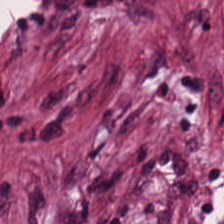Hematoxylin-and-eosin stained section. Predominantly tumor stroma.
